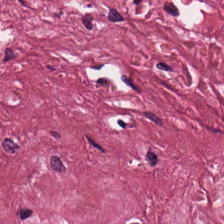Hematoxylin-and-eosin stained section. Q: What does this patch show?
A: Tumor-associated stroma.
